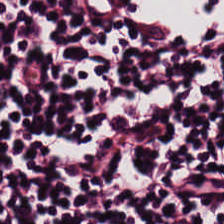Hematoxylin and eosin. Showing lymphoid infiltrate.
